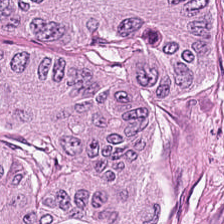0.5 microns per pixel. Hematoxylin-and-eosin stained section.
Q: What does this patch show?
A: This is colorectal adenocarcinoma epithelium.
